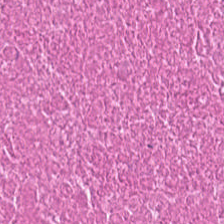224×224 px patch · H&E-stained tissue section — Q: What type of tissue is this?
A: The field shows debris.
